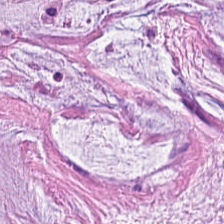H&E stain.
Tissue class: mucin.
